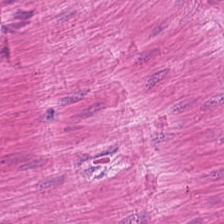Formalin-fixed paraffin-embedded section · 20× equivalent magnification · H&E-stained tissue section.
Showing smooth muscle.
